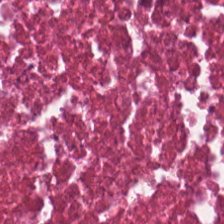H&E-stained tissue section showing cellular debris.
